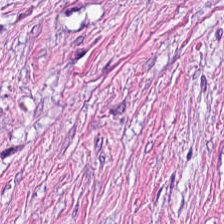0.5 µm/px; hematoxylin and eosin — Q: What does this patch show?
A: The field shows cancer-associated stroma.
